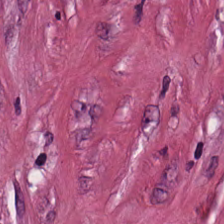Histology → tumor stroma.
